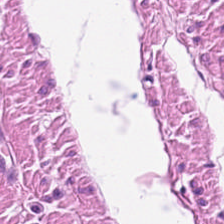20× equivalent magnification. H&E. The tissue is smooth-muscle tissue.
